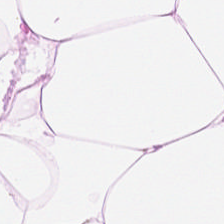H&E · formalin-fixed paraffin-embedded section.
Predominantly adipocytes.
